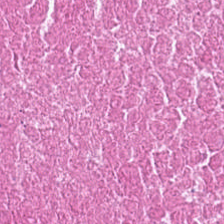224×224 pixel tile; hematoxylin and eosin.
Cellular debris.
